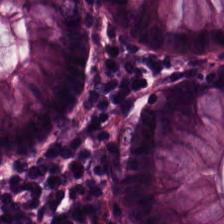Hematoxylin and eosin.
Tissue class: normal colon mucosa.
